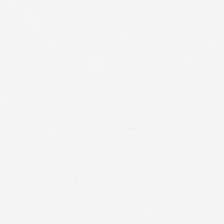H&E — {"content": "background (no tissue)"}
